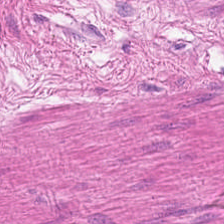The classification is muscularis.
